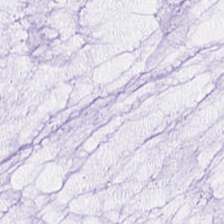Tissue type = mucus.
